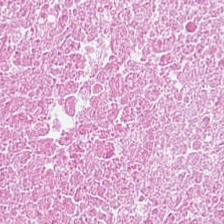H&E-stained tissue section. Impression — debris.
